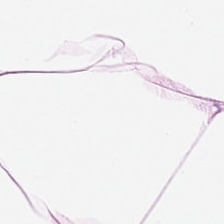H&E-stained tissue section.
{"tissue_type": "fat tissue"}
